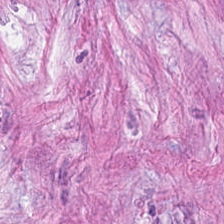Hematoxylin-and-eosin stained section; whole-slide-image patch. This patch shows tumor-associated stroma.
